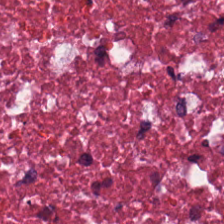Histology → debris.
